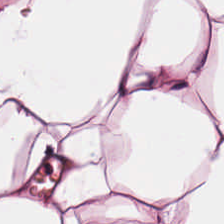Hematoxylin and eosin.
Predominantly adipose tissue.
